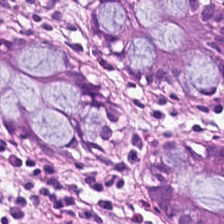Hematoxylin and eosin.
Classification: benign colonic mucosa.
